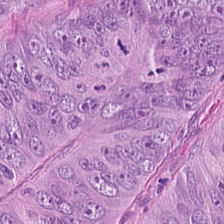Hematoxylin and eosin; 0.5 µm/px. The tissue here is tumor epithelium.
